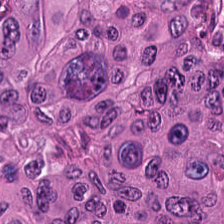H&E-stained tissue section.
Predominantly colorectal adenocarcinoma epithelium.
